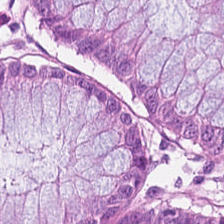Brightfield microscopy; hematoxylin-and-eosin stained section; FFPE tissue section.
Showing benign colonic mucosa.
